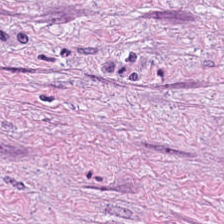Hematoxylin-and-eosin stained section. Brightfield microscopy. Predominantly tumor stroma.
